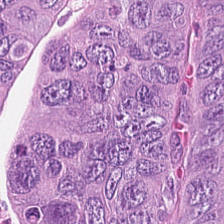Brightfield. H&E. 224×224 px tile.
Tissue class — malignant epithelium.
